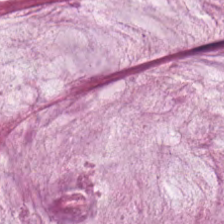Q: What tissue type is shown here?
A: Mucin.
